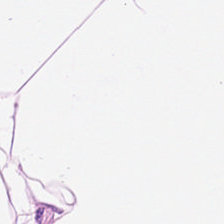H&E-stained tissue section; FFPE; 20× equivalent magnification — Q: What is shown in this field?
A: The field shows adipose tissue.
